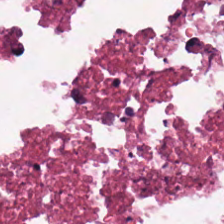Hematoxylin and eosin — The tissue is cellular debris.
